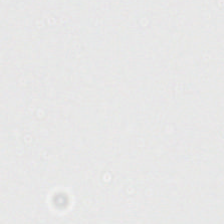Q: Classify this patch.
A: The field shows background.
